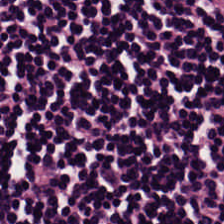Stain: H&E.
Predominant tissue: lymphocyte aggregate.
